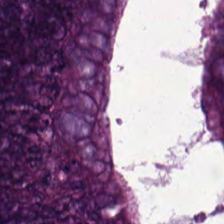Tissue = colorectal adenocarcinoma epithelium.
